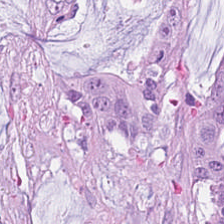H&E; WSI patch.
Showing mucin.
